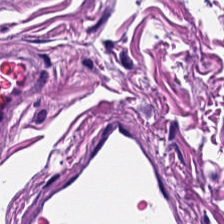Brightfield microscopy. H&E-stained tissue section. FFPE tissue section — Predominantly smooth muscle.
